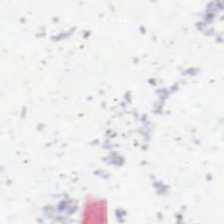H&E-stained tissue section.
No tissue present; background only.
